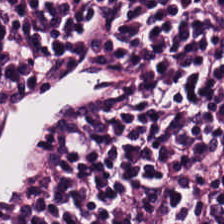Stain: H&E.
Predominant tissue: lymphocytic infiltrate.
